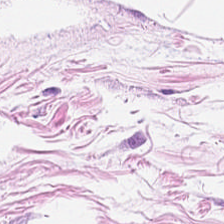Q: What tissue type is shown here?
A: Adipocytes.
